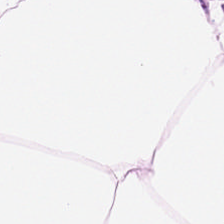Whole-slide-image patch · H&E. Q: What is shown in this field?
A: The field shows adipose.
